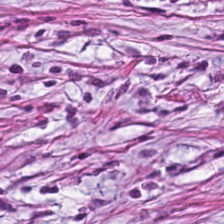Stain: hematoxylin and eosin.
Tile size: 224×224 px patch.
Tissue: tumor-associated stroma.
